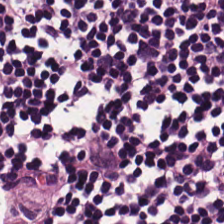Hematoxylin-and-eosin stained section — This patch shows lymphocytic infiltrate.
